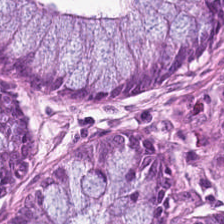H&E-stained tissue section; 0.5 µm per pixel — This field is normal colon mucosa.
